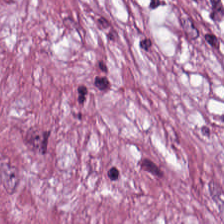H&E. This field is tumor stroma.
